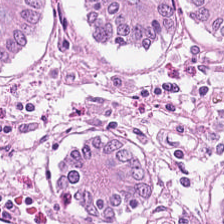Hematoxylin-and-eosin stained section — Normal colonic mucosa.
